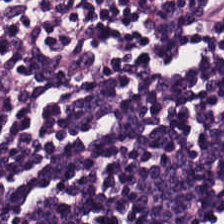Showing lymphoid infiltrate.
